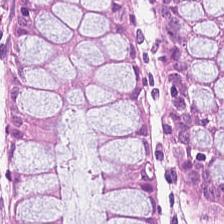Hematoxylin-and-eosin stained section. 224×224 px patch. 0.5 µm per pixel.
Predominantly non-neoplastic colon mucosa.
